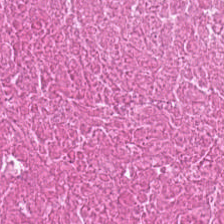Hematoxylin-and-eosin stained section. 0.5 microns per pixel. Showing cellular debris.
